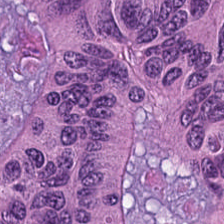224×224 px patch; whole-slide-image patch; hematoxylin and eosin.
Tissue class: colorectal adenocarcinoma epithelium.
